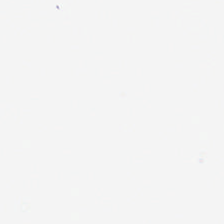Stain: H&E.
Preparation: formalin-fixed paraffin-embedded section.
Classification: no tissue.
